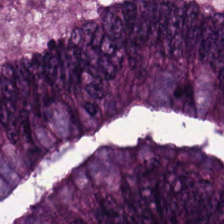Brightfield; hematoxylin-and-eosin stained section. The tissue here is adenocarcinoma.
